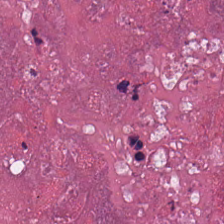H&E stain.
Tissue: necrotic debris.
